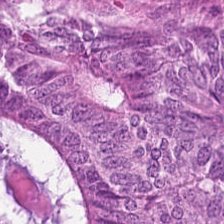Stain: H&E-stained tissue section.
Predominant tissue: adenocarcinoma.
